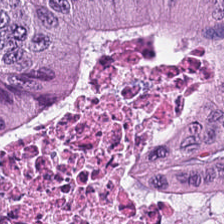Predominant tissue — adenocarcinoma.
